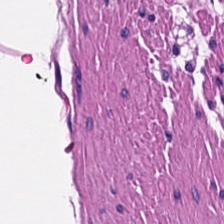H&E. {"tissue_type": "smooth-muscle tissue"}
